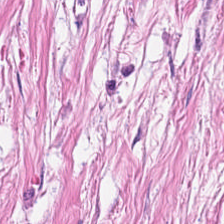H&E-stained tissue section — Tissue type = tumor stroma.
